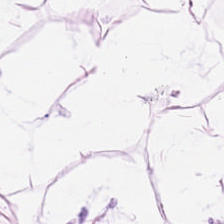FFPE tissue section. Hematoxylin and eosin.
Adipose.
